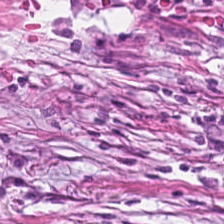{"tissue_type": "tumor-associated stroma"}
